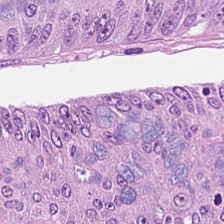Stain: H&E.
Tile size: 224×224 px tile.
Predominant tissue: tumor epithelium.
